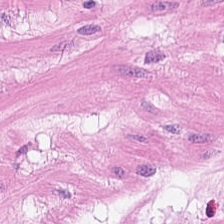Hematoxylin-and-eosin stained section. 0.5 µm/px — Q: Classify this patch.
A: The field shows muscularis.
